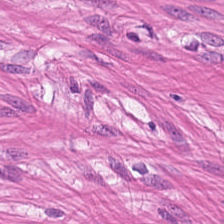0.5 microns per pixel · hematoxylin-and-eosin stained section.
Q: What tissue type is shown here?
A: Smooth muscle.
